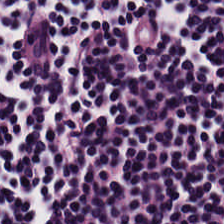WSI patch; 224×224 px tile; H&E-stained tissue section.
The tissue type is lymphocytic infiltrate.
